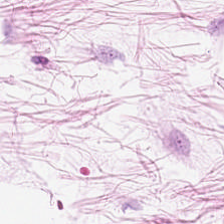FFPE tissue section · H&E stain — Showing adipose tissue.
